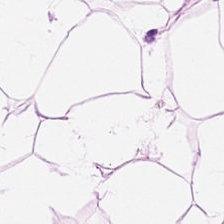Tissue class — adipose tissue.
